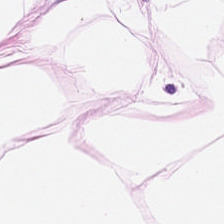Hematoxylin and eosin. Q: What is shown in this field?
A: The field shows adipocytes.
